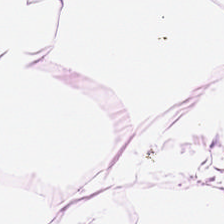Hematoxylin-and-eosin section: adipocytes.
